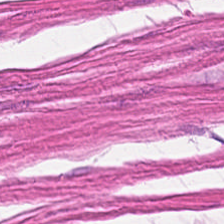Predominantly muscularis.
